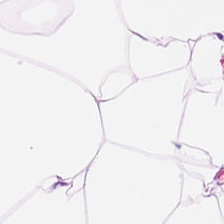Showing adipocytes.
